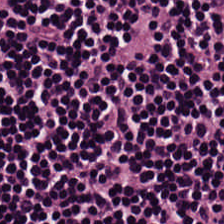224×224 px tile; H&E.
Q: What tissue is shown?
A: This is lymphocytes.
